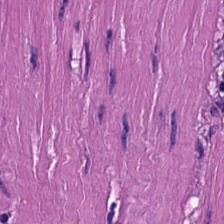H&E-stained tissue section.
Q: What tissue is shown?
A: It is muscularis.
